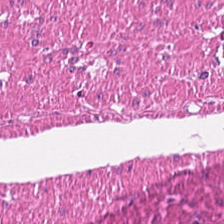Stain: hematoxylin-and-eosin stained section.
Tissue: smooth muscle.
